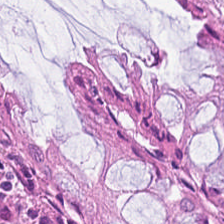Stain: hematoxylin and eosin.
Tissue: benign colonic mucosa.
